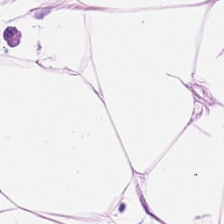H&E stain.
The tissue here is adipose.
